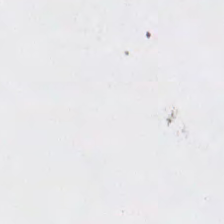H&E stain · WSI patch · 20× equivalent magnification.
No tissue present; background only.
